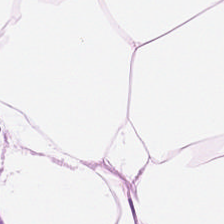FFPE tissue section. Hematoxylin and eosin.
Predominantly adipose tissue.
